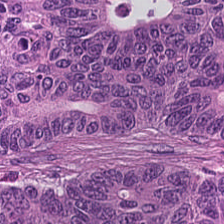0.5 µm per pixel · H&E.
{"tissue_type": "colorectal adenocarcinoma"}
